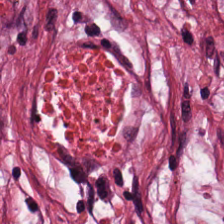Whole-slide-image patch; 224×224 px patch; hematoxylin and eosin.
Tissue: cancer-associated stroma.
